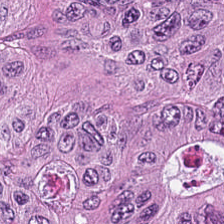H&E stain.
Adenocarcinoma.
